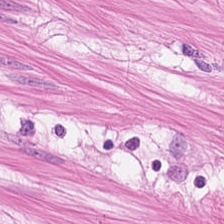H&E-stained tissue section showing muscularis.
